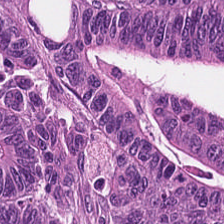The tissue is malignant epithelium.
